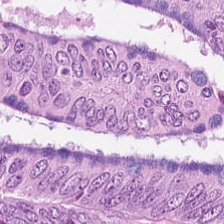H&E. 0.5 µm per pixel. WSI patch — {"tissue_type": "tumor epithelium"}
